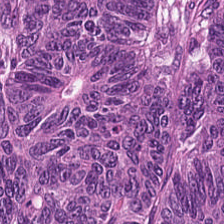Stain: hematoxylin-and-eosin stained section.
Tissue class: colorectal adenocarcinoma.
